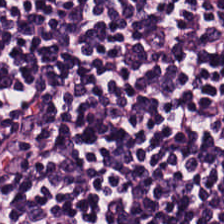Hematoxylin-and-eosin stained section. The predominant tissue is lymphocytes.
